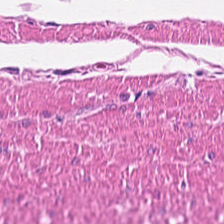0.5 µm per pixel. Brightfield microscopy. H&E — Smooth muscle.
